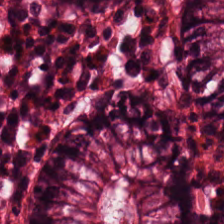H&E-stained tissue section — Impression — benign colonic mucosa.
